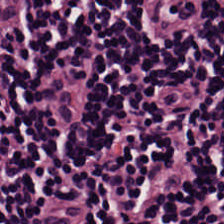Stain: H&E-stained tissue section.
Tile size: 224×224 px patch.
Classification: lymphocyte aggregate.
